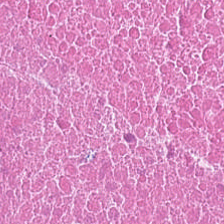224×224 px patch. Hematoxylin and eosin. Finding — necrotic debris.
